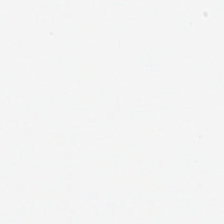20× equivalent magnification · hematoxylin-and-eosin stained section. Classification = empty background.
